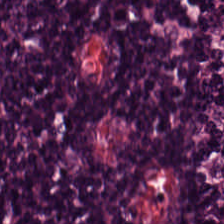224×224 px patch · H&E-stained tissue section.
Histology → lymphocyte aggregate.
